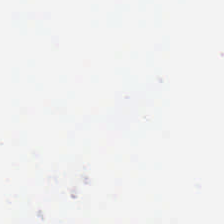Hematoxylin-and-eosin stained section.
Histology → background.
